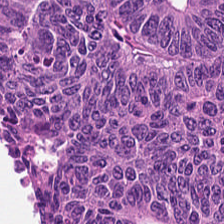{"tissue_type": "tumor epithelium"}
